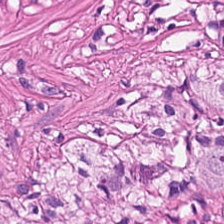H&E stain. Tissue class: smooth muscle.
